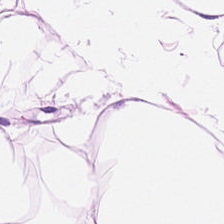H&E; 224×224 px patch.
Tissue class — adipose tissue.
